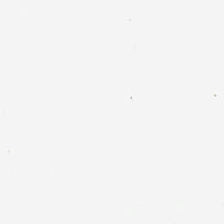H&E stain — No tissue present; background only.
